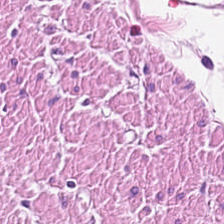224×224 px tile · H&E · 0.5 µm/px — Predominant tissue — muscularis.
